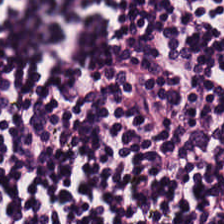H&E-stained tissue section. 224×224 px tile.
Impression — lymphocytes.
